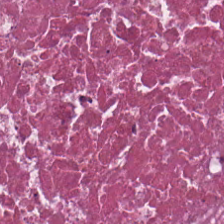Hematoxylin-and-eosin stained section.
Necrotic debris.
